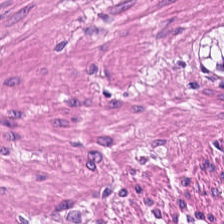This field is smooth-muscle tissue.
